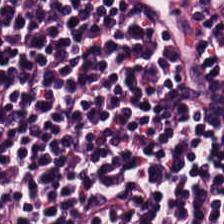The tissue class is lymphocytic infiltrate.
